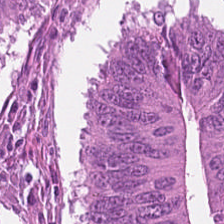H&E-stained tissue section.
Q: What is shown in this field?
A: Malignant epithelium.
